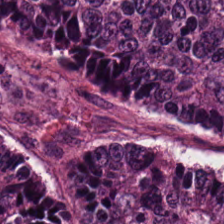Hematoxylin-and-eosin stained section — Tissue type = colorectal adenocarcinoma.
